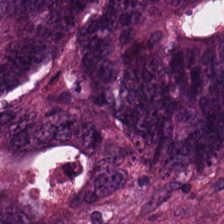Tissue type: colorectal adenocarcinoma.
